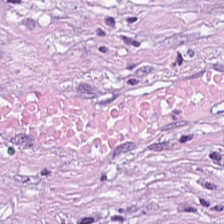{"tissue_type": "tumor stroma"}
